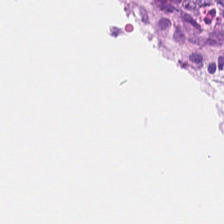Brightfield. Hematoxylin and eosin.
This patch shows benign colonic mucosa.
